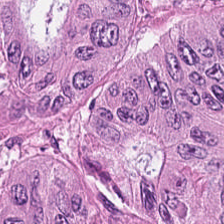H&E stain · brightfield.
Q: What is shown in this field?
A: Tumor epithelium.
